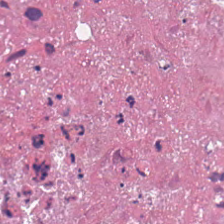FFPE tissue section. H&E-stained tissue section — Tissue type = cellular debris.
